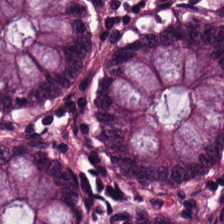H&E; FFPE; brightfield microscopy — Predominant tissue: normal colonic mucosa.
